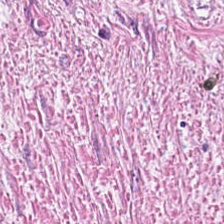Hematoxylin and eosin. {"tissue_type": "desmoplastic stroma"}
